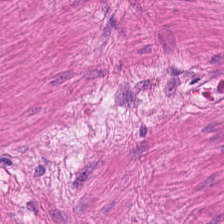Hematoxylin and eosin — The tissue here is smooth muscle.
